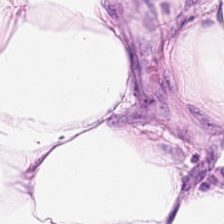Stain: hematoxylin-and-eosin stained section.
Tile size: 224×224 px patch.
Acquisition: brightfield.
Classification: adipose tissue.
